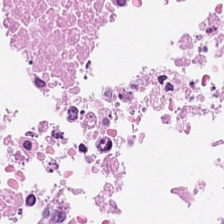Hematoxylin-and-eosin stained section — Tissue class = cellular debris.
